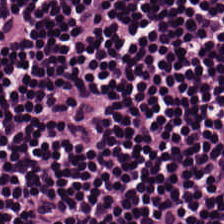Q: Classify this patch.
A: Lymphoid infiltrate.
